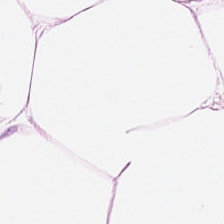H&E patch showing adipose.
